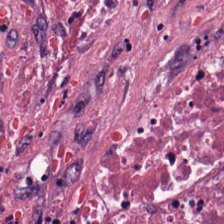Q: What does this patch show?
A: It is debris.
